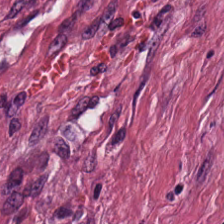0.5 µm per pixel · H&E.
{"tissue_type": "tumor-associated stroma"}
